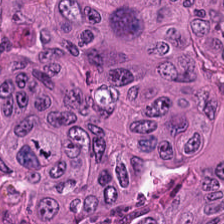Stain: hematoxylin-and-eosin stained section.
Acquisition: brightfield.
Resolution: 0.5 µm per pixel.
Predominant tissue: colorectal adenocarcinoma.
